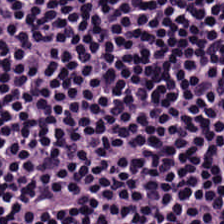Tissue type = lymphoid infiltrate.
